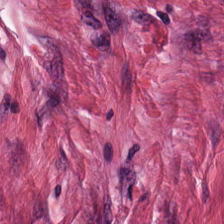Q: What does this patch show?
A: It is tumor stroma.
